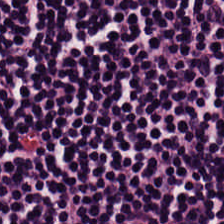H&E-stained tissue section. Impression → lymphocytes.
